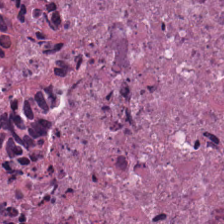Impression → cellular debris.
